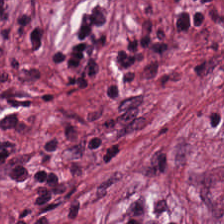Stain: hematoxylin-and-eosin stained section.
Preparation: FFPE tissue section.
Acquisition: WSI patch.
Predominant tissue: tumor stroma.
